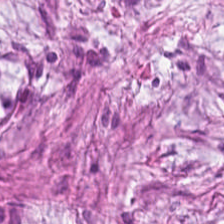Hematoxylin and eosin. The predominant tissue is tumor-associated stroma.
